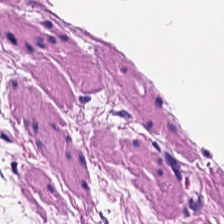Stain: hematoxylin and eosin.
Predominant tissue: smooth muscle.
